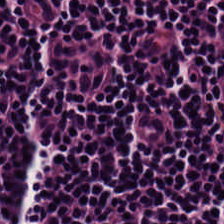Hematoxylin and eosin — The tissue here is lymphoid infiltrate.
